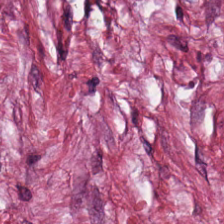H&E · 224×224 pixel tile · 20× equivalent magnification. Q: What is shown in this field?
A: The field shows desmoplastic stroma.
